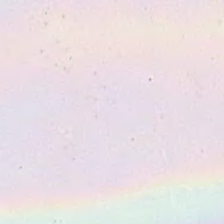H&E — Classification: no tissue.
